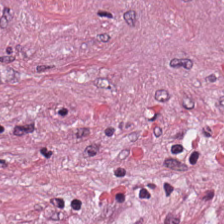Stain: hematoxylin and eosin.
Tissue class: tumor stroma.
